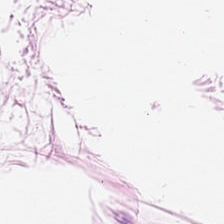Hematoxylin-and-eosin stained section.
This patch shows adipose tissue.
